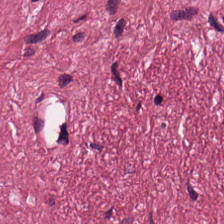Q: Identify the tissue.
A: Tumor-associated stroma.
